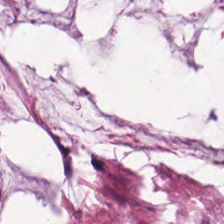Formalin-fixed paraffin-embedded section; 0.5 microns per pixel; H&E-stained tissue section.
Q: What is shown here?
A: This is mucus.
